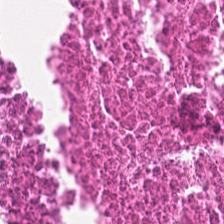Hematoxylin and eosin. Histology → cellular debris.
